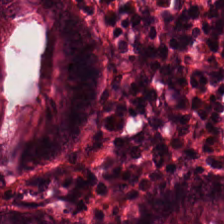H&E stain · 0.5 microns per pixel — The tissue class is normal colonic mucosa.
